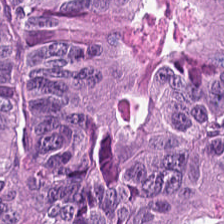H&E. Malignant epithelium.
